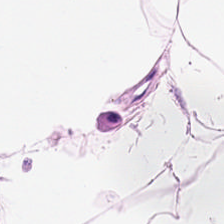H&E — Predominant tissue = adipose tissue.
